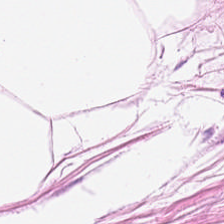Hematoxylin and eosin.
Q: What type of tissue is this?
A: The field shows adipose tissue.
